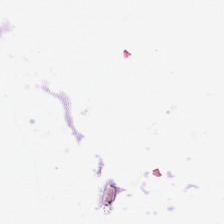H&E stain.
Background — no tissue in this field.
